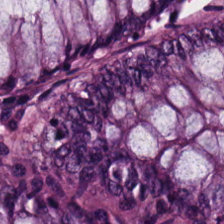The tissue is non-neoplastic colon mucosa.
